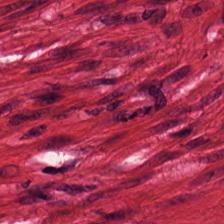Stain: H&E stain.
Tissue class: smooth muscle.
